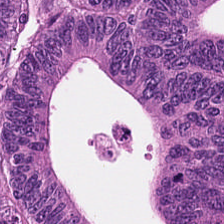H&E.
Tissue class = colorectal adenocarcinoma.
